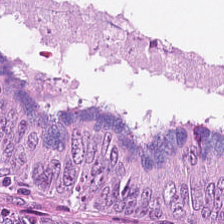Hematoxylin and eosin; FFPE tissue section. Q: What does this patch show?
A: Tumor epithelium.
